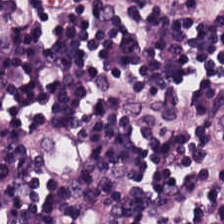Showing lymphocytes.
